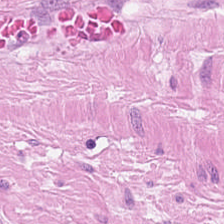Smooth muscle.
